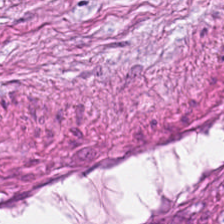Hematoxylin-and-eosin stained section. Tissue class = cancer-associated stroma.
